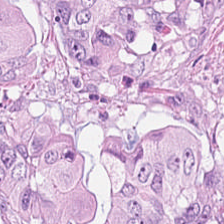H&E — Q: What is shown in this field?
A: Tumor epithelium.
